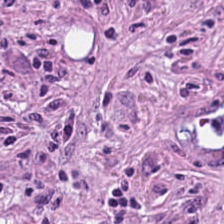H&E — tumor-associated stroma.
